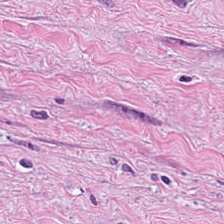Stain: H&E-stained tissue section.
Predominant tissue: cancer-associated stroma.
